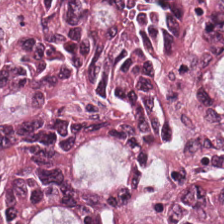H&E stain; whole-slide-image patch. {"tissue_type": "colorectal adenocarcinoma epithelium"}
